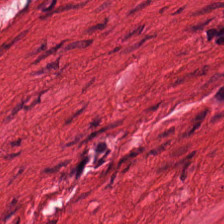Hematoxylin and eosin · FFPE tissue section.
Q: What is the predominant tissue type?
A: It is smooth-muscle tissue.
